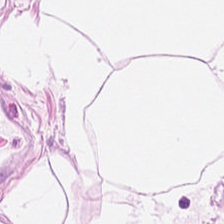Hematoxylin-and-eosin stained section; 224×224 pixel tile; formalin-fixed paraffin-embedded section.
Fat tissue.
